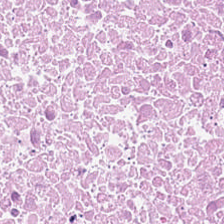FFPE tissue section · H&E.
Finding — cellular debris.
